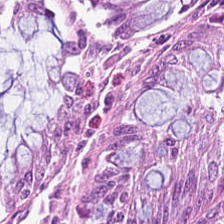Hematoxylin-and-eosin stained section — The predominant tissue is normal colon mucosa.
